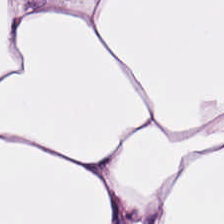Impression — adipose.
